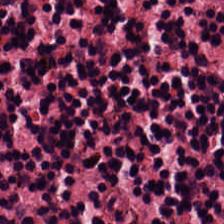Stain: H&E-stained tissue section.
Acquisition: WSI patch.
Resolution: 0.5 µm/px.
Tissue class: lymphocytic infiltrate.
